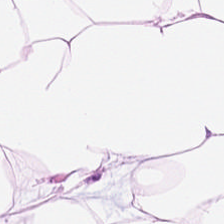H&E-stained tissue section — Q: What tissue is shown?
A: It is adipose tissue.
